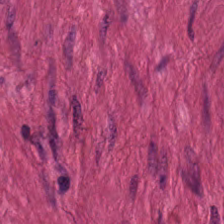224×224 px patch; hematoxylin and eosin — The tissue is smooth-muscle tissue.
